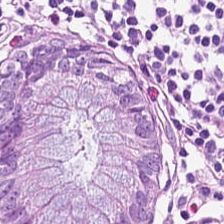H&E-stained tissue section; 224×224 px tile — Finding → normal colonic mucosa.
